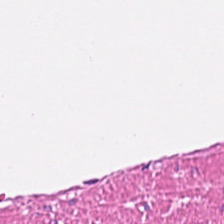224×224 pixel tile; hematoxylin and eosin. Tissue type = smooth muscle.
